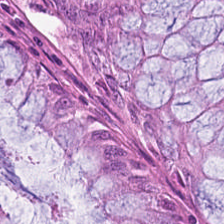FFPE tissue section. Brightfield. Hematoxylin-and-eosin stained section — Q: Identify the tissue.
A: The field shows normal colonic mucosa.
